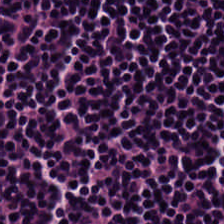Hematoxylin and eosin; FFPE.
This field is lymphocytes.
